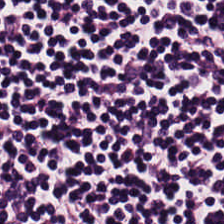Stain: H&E stain.
Preparation: FFPE.
Classification: lymphoid infiltrate.
